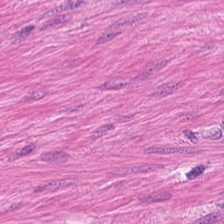224×224 pixel tile · H&E stain.
The predominant tissue is smooth muscle.
